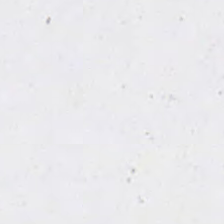H&E · whole-slide-image patch — No tissue present; background only.
